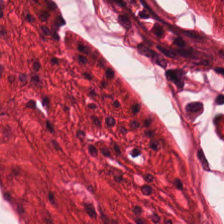Brightfield. Hematoxylin-and-eosin stained section. Predominantly smooth muscle.
